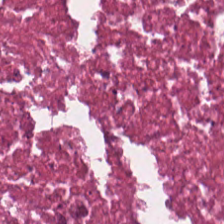H&E stain. The tissue class is cellular debris.
